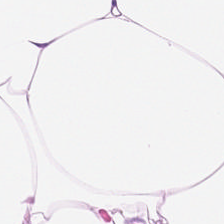Stain: hematoxylin-and-eosin stained section.
Predominant tissue: adipocytes.
